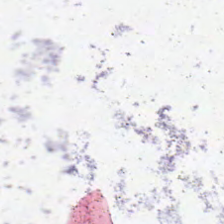Hematoxylin and eosin · 224×224 px patch.
This field is background (no tissue).
